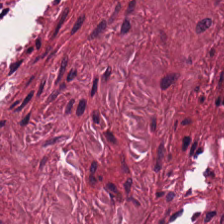Brightfield. Hematoxylin and eosin.
This field is desmoplastic stroma.
